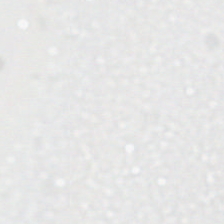Histology → no tissue.
